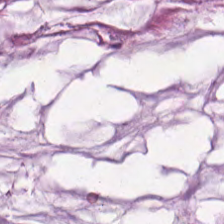224×224 pixel tile. Hematoxylin and eosin. This field is mucus.
